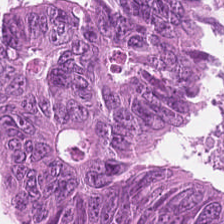Stain: H&E-stained tissue section.
Classification: tumor epithelium.
